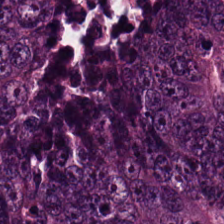Hematoxylin-and-eosin stained section. Impression — malignant epithelium.
